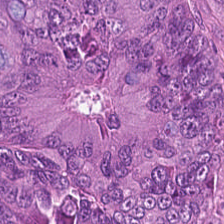Hematoxylin and eosin.
Q: Identify the tissue.
A: The field shows tumor epithelium.
